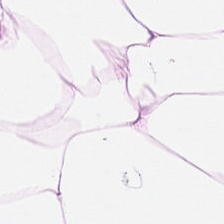WSI patch · hematoxylin and eosin — Tissue: adipose tissue.
